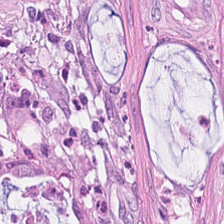Brightfield microscopy. H&E stain.
Tumor stroma.
